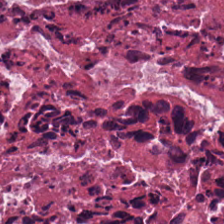H&E stain · 0.5 µm per pixel · brightfield microscopy — The tissue here is necrotic debris.
